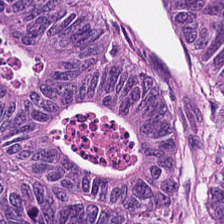H&E — Q: Classify this patch.
A: Tumor epithelium.
